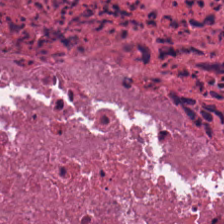H&E; FFPE.
{"tissue_type": "debris"}
